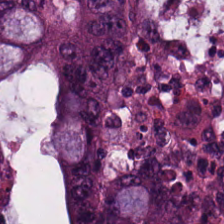224×224 pixel tile; hematoxylin and eosin; FFPE tissue section. Classification — malignant epithelium.
